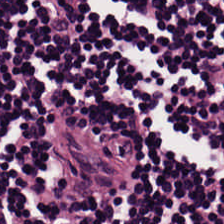H&E-stained tissue section. 224×224 px tile. FFPE tissue section — Tissue: lymphocytic infiltrate.
